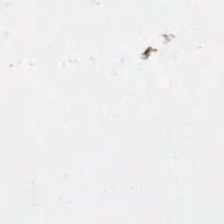Hematoxylin and eosin. FFPE tissue section.
Q: What is shown in this field?
A: It is empty background.
